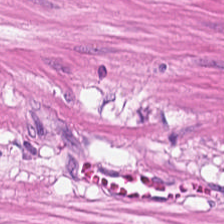0.5 µm per pixel · H&E-stained tissue section.
Impression — muscularis.
